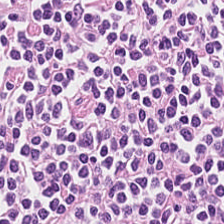H&E. Formalin-fixed paraffin-embedded section — Tissue class: lymphocytic infiltrate.
